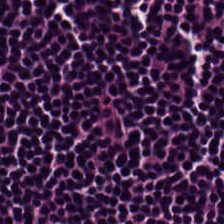H&E patch showing lymphocytes.
